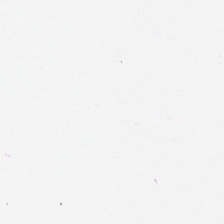No tissue present; background only.
